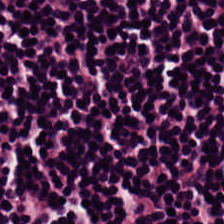Stain: hematoxylin and eosin.
Tissue: lymphocytes.
